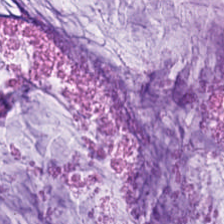0.5 µm/px; hematoxylin and eosin — Mucin.
